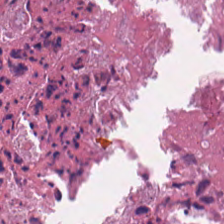Classification = debris.
